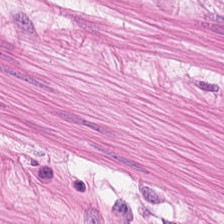Hematoxylin-and-eosin stained section.
The classification is smooth muscle.
